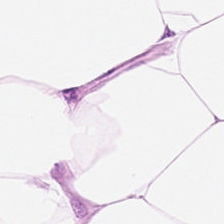H&E. Q: What is shown here?
A: This is adipose tissue.
